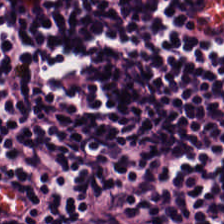H&E-stained tissue section; formalin-fixed paraffin-embedded section; 0.5 µm/px — Lymphoid infiltrate.
